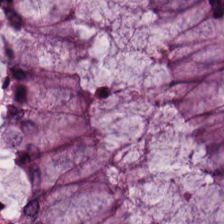H&E. The predominant tissue is non-neoplastic colon mucosa.
